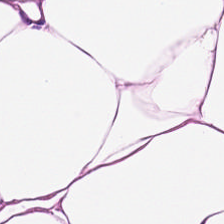Hematoxylin-and-eosin stained section. Showing adipose tissue.
